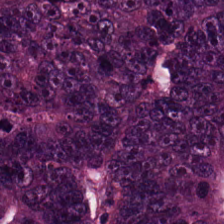Stain: H&E.
Tissue class: colorectal adenocarcinoma.
